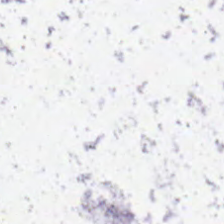H&E. Brightfield. Q: Classify this patch.
A: The field shows background (no tissue).
